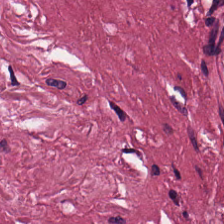Hematoxylin and eosin — Finding → cancer-associated stroma.
